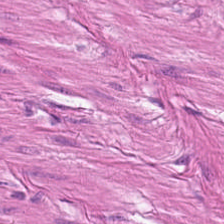Hematoxylin-and-eosin stained section. Predominantly smooth-muscle tissue.
